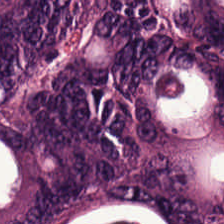H&E · 224×224 pixel tile — Q: What type of tissue is this?
A: Tumor epithelium.
